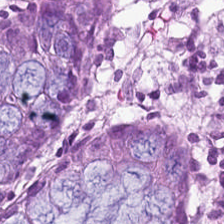Histology → normal colon mucosa.
